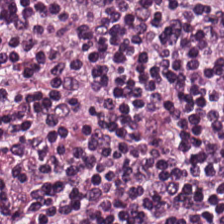H&E stain; FFPE. This patch shows lymphoid infiltrate.
